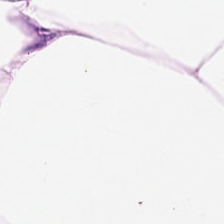Hematoxylin and eosin. FFPE — Histology → adipocytes.
